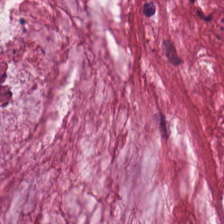Stain: hematoxylin-and-eosin stained section.
Classification: mucin.
